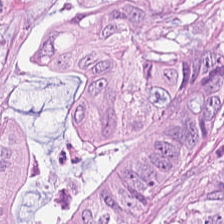Hematoxylin-and-eosin stained section; WSI patch; 224×224 px patch.
The predominant tissue is malignant epithelium.
